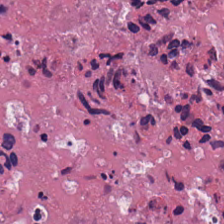Stain: H&E.
Tissue class: cellular debris.
